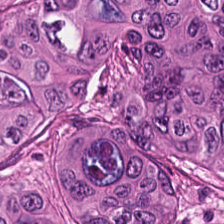Brightfield. Hematoxylin-and-eosin stained section.
Finding — malignant epithelium.
